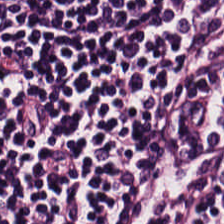0.5 µm per pixel · H&E · 224×224 px patch — Predominantly lymphocytes.
